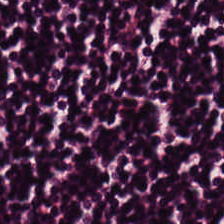Brightfield microscopy. H&E stain — {"tissue_type": "lymphocytes"}
